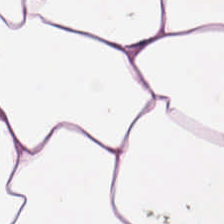H&E stain.
Q: What tissue is shown?
A: This is adipose.
